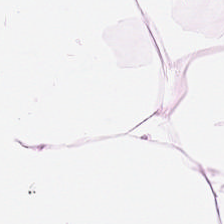Hematoxylin and eosin · FFPE tissue section — {"tissue_type": "adipocytes"}
